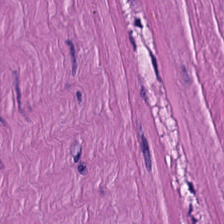This patch shows muscularis.
